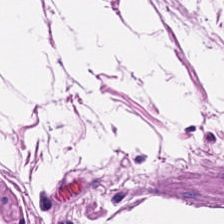Hematoxylin-and-eosin stained section; 0.5 microns per pixel; 224×224 px patch. The predominant tissue is smooth muscle.
